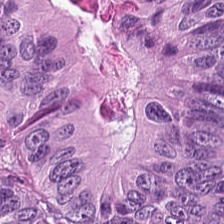Brightfield microscopy; hematoxylin and eosin. Q: What does this patch show?
A: It is tumor epithelium.
